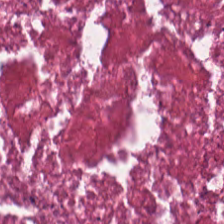Stain: H&E-stained tissue section.
Tissue class: cellular debris.
